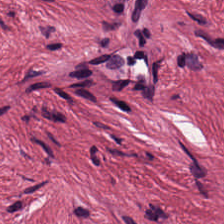H&E; FFPE tissue section. Impression — tumor stroma.
